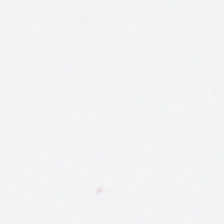224×224 px patch. Hematoxylin and eosin. Impression → background (no tissue).
